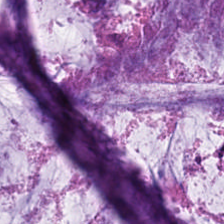WSI patch; H&E. This patch shows mucus.
